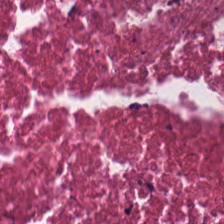Stain: H&E-stained tissue section.
Tissue class: necrotic debris.
